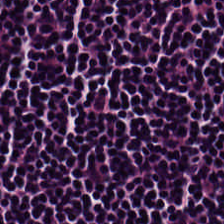H&E-stained tissue section; FFPE.
The classification is lymphoid infiltrate.
